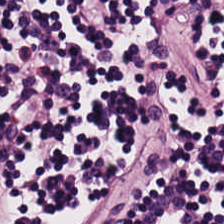FFPE · 20× equivalent magnification · H&E stain — Histology → lymphocytes.
